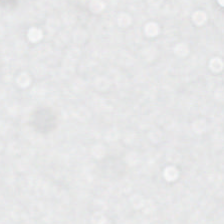Brightfield · H&E-stained tissue section.
No tissue present; background only.
